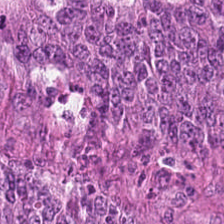Hematoxylin and eosin; brightfield. Colorectal adenocarcinoma.
